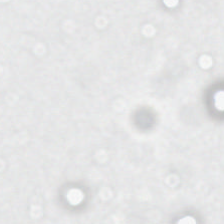H&E stain — Background — no tissue in this field.
